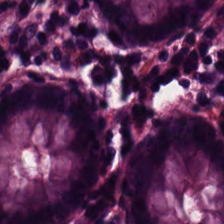H&E-stained tissue section showing non-neoplastic colon mucosa.
